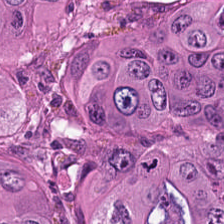H&E — colorectal adenocarcinoma.
